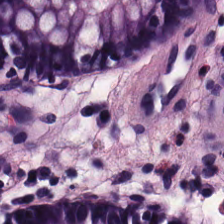0.5 µm/px. H&E.
Showing benign colonic mucosa.
